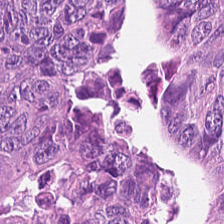H&E · 224×224 px patch — Tissue type = malignant epithelium.
